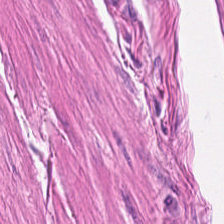224×224 px tile · brightfield microscopy · hematoxylin-and-eosin stained section. Q: What tissue type is shown here?
A: The field shows muscularis.
